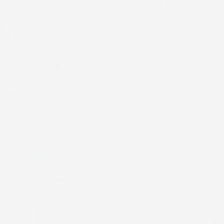WSI patch · hematoxylin-and-eosin stained section · 224×224 px patch. The content is empty background.
